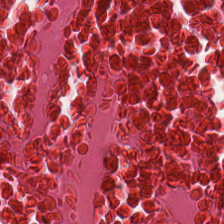Hematoxylin and eosin; 224×224 pixel tile — Q: What tissue is shown?
A: This is cellular debris.
